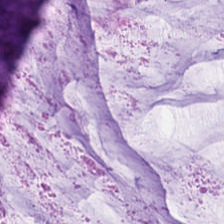Q: What is shown here?
A: The field shows mucin.
